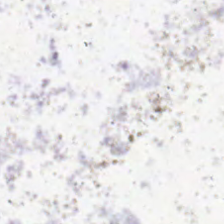Empty field — background.
